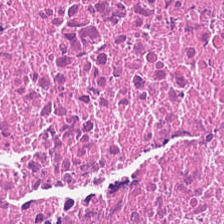Hematoxylin-and-eosin stained section. Tissue class: necrotic debris.
